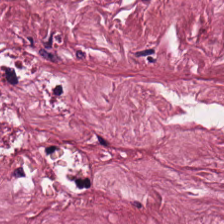This patch shows tumor stroma.
